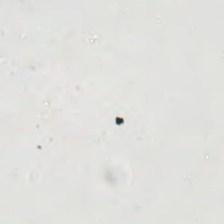Brightfield microscopy · H&E — No tissue present; background only.
